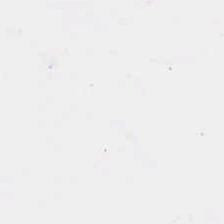Histology — no tissue.
